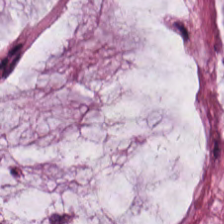H&E-stained tissue section. Tissue class = mucus.
